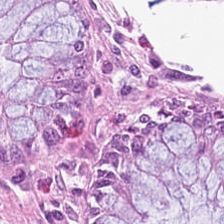H&E-stained section; the field shows benign colonic mucosa.
